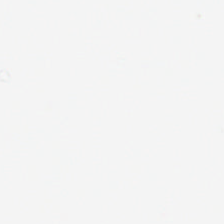Formalin-fixed paraffin-embedded section · hematoxylin and eosin.
Q: What is shown here?
A: It is background.
